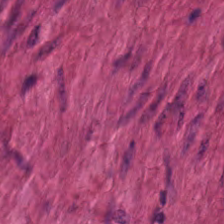H&E stain.
{"tissue_type": "smooth-muscle tissue"}
